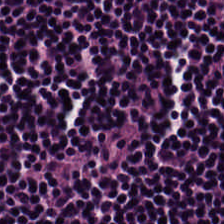224×224 px tile; hematoxylin and eosin. Tissue type — lymphoid infiltrate.
